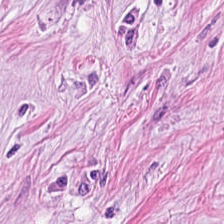The predominant tissue is tumor-associated stroma.
